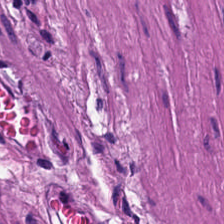WSI patch · H&E stain · 0.5 microns per pixel. Classification = smooth muscle.
